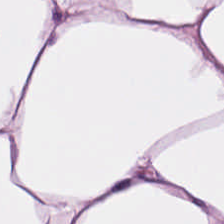H&E.
Finding → adipose.
